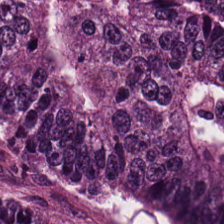Q: Classify this patch.
A: The field shows colorectal adenocarcinoma.
